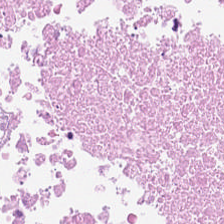Hematoxylin-and-eosin stained section — Predominantly cellular debris.
